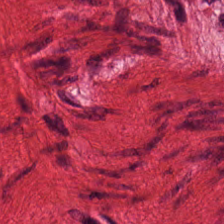WSI patch · 0.5 µm per pixel · hematoxylin-and-eosin stained section — Showing muscularis.
